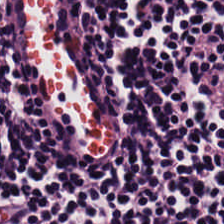Stain: H&E.
Tissue: lymphocytes.
